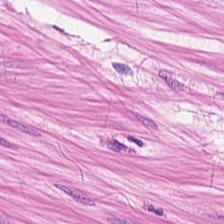224×224 pixel tile · H&E stain — {"tissue_type": "smooth-muscle tissue"}
